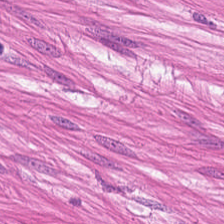H&E-stained section; the field shows muscularis.
